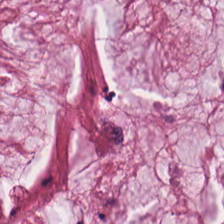H&E · 0.5 µm/px. The predominant tissue is mucus.
